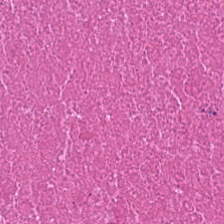{"tissue_type": "cellular debris"}
